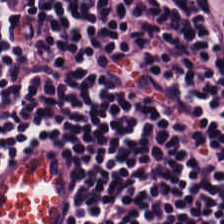Whole-slide-image patch; H&E-stained tissue section; 0.5 microns per pixel — Showing lymphocytes.
